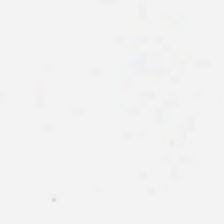The classification is empty background.
